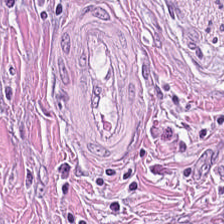Hematoxylin-and-eosin stained section. Q: What type of tissue is this?
A: This is cancer-associated stroma.
